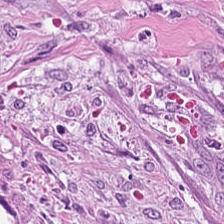Classification — tumor-associated stroma.
